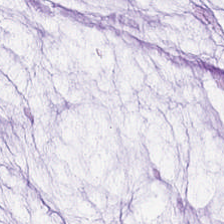224×224 px tile · FFPE tissue section · H&E-stained tissue section — The tissue here is mucus.
